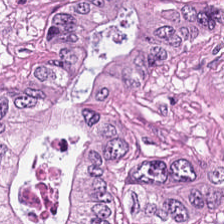Stain: hematoxylin-and-eosin stained section.
Preparation: FFPE tissue section.
Tissue type: colorectal adenocarcinoma.
